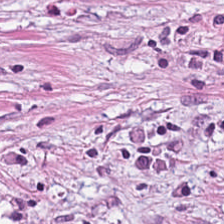Predominant tissue — tumor stroma.
